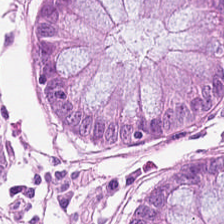Hematoxylin and eosin. This field is non-neoplastic colon mucosa.
